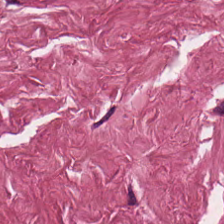Stain: H&E.
Acquisition: brightfield microscopy.
Tile size: 224×224 pixel tile.
Tissue type: cancer-associated stroma.
